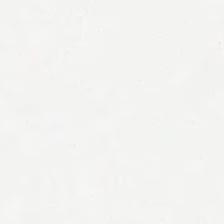Stain: hematoxylin and eosin.
Field content: background (no tissue).
